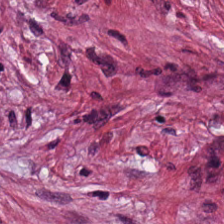H&E stain; 224×224 pixel tile. Q: What is shown in this field?
A: This is tumor-associated stroma.
